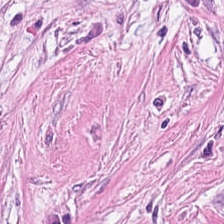Classification — tumor stroma.
